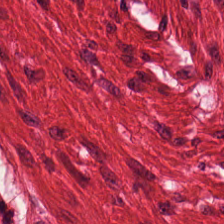Stain: hematoxylin-and-eosin stained section.
Acquisition: brightfield.
Tissue type: smooth muscle.
